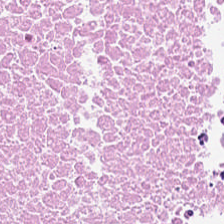H&E-stained tissue section · formalin-fixed paraffin-embedded section · 224×224 px patch. Tissue type — cellular debris.
